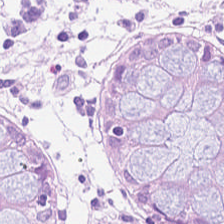Impression — normal colon mucosa.
